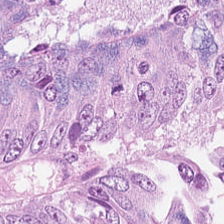Stain: H&E.
Tissue: colorectal adenocarcinoma epithelium.
